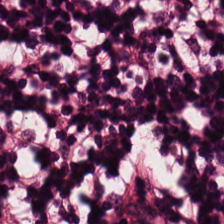H&E.
Q: What tissue is shown?
A: It is lymphocyte aggregate.
